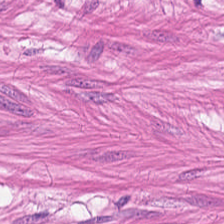Stain: H&E stain.
Tile size: 224×224 px patch.
Tissue class: smooth muscle.
